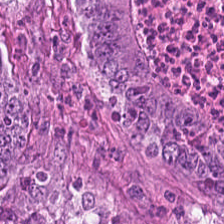H&E stain. Q: What is the predominant tissue type?
A: It is tumor epithelium.
